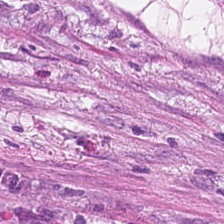H&E — tumor-associated stroma.
